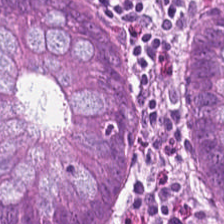20× equivalent magnification; hematoxylin-and-eosin stained section.
Tissue class: normal colon mucosa.
